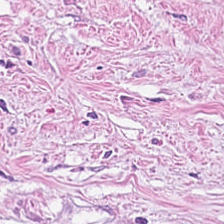Hematoxylin and eosin.
Tumor-associated stroma.
